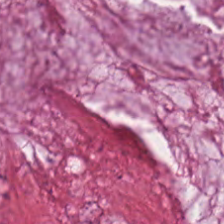{"tissue_type": "mucus"}
